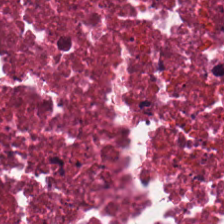Hematoxylin-and-eosin stained section. Debris.
